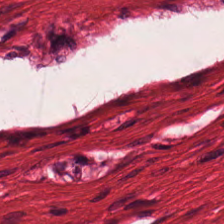H&E stain; formalin-fixed paraffin-embedded section; 0.5 µm/px — {"tissue_type": "smooth-muscle tissue"}
